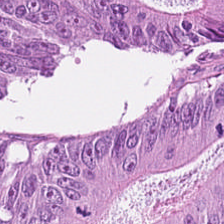H&E. FFPE. Brightfield microscopy — {"tissue_type": "tumor epithelium"}
